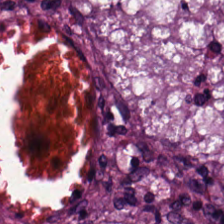Stain: hematoxylin and eosin.
Tissue type: colorectal adenocarcinoma epithelium.
